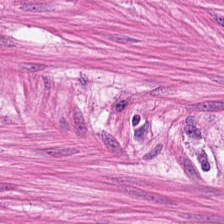H&E; formalin-fixed paraffin-embedded section — Classification: muscularis.
